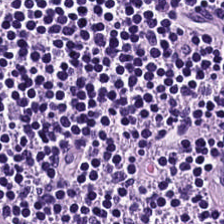Hematoxylin and eosin. Formalin-fixed paraffin-embedded section. Lymphocytic infiltrate.
